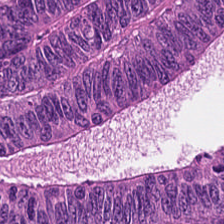Tumor epithelium.
